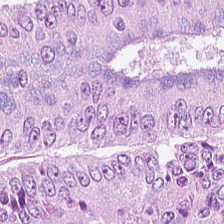H&E — adenocarcinoma.
